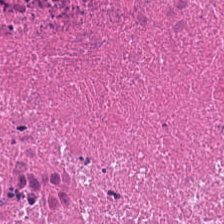H&E-stained tissue section.
{"tissue_type": "necrotic debris"}
